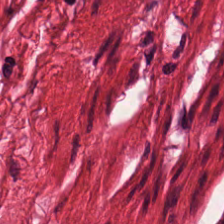H&E-stained tissue section. 224×224 pixel tile — Predominant tissue: smooth muscle.
